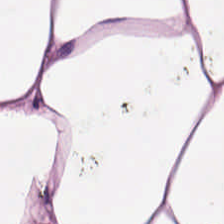Stain: H&E.
Predominant tissue: fat tissue.
